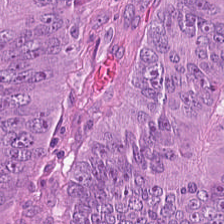Q: What tissue is shown?
A: This is colorectal adenocarcinoma epithelium.
